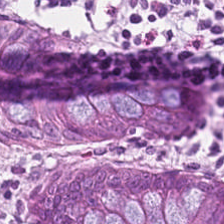H&E patch showing non-neoplastic colon mucosa.
